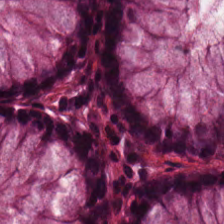Stain: H&E.
Acquisition: brightfield microscopy.
Tissue type: normal colon mucosa.
